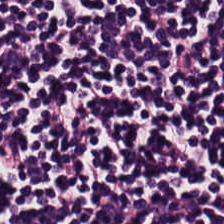Hematoxylin-and-eosin stained section.
The tissue class is lymphocytic infiltrate.
